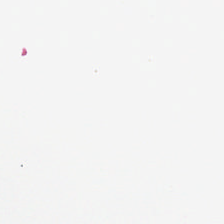H&E-stained tissue section.
Background — no tissue in this field.
